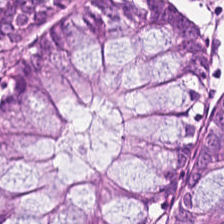Stain: hematoxylin-and-eosin stained section.
Tissue: non-neoplastic colon mucosa.
